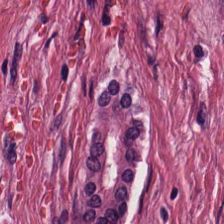20× equivalent magnification · hematoxylin and eosin.
Predominant tissue = cancer-associated stroma.
